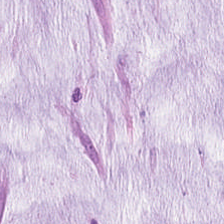Hematoxylin-and-eosin stained section; 224×224 px patch — Q: What is the predominant tissue type?
A: It is mucin.
